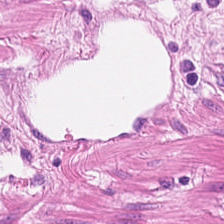224×224 pixel tile · H&E — This field is smooth-muscle tissue.
